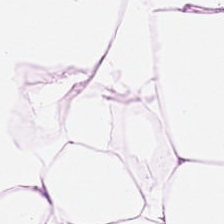224×224 px patch · H&E stain.
The predominant tissue is adipocytes.
